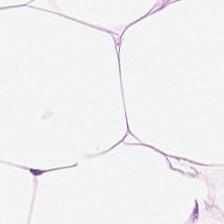Tissue class = adipose tissue.
